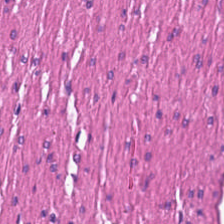H&E-stained tissue section. Q: What tissue type is shown here?
A: It is smooth muscle.
